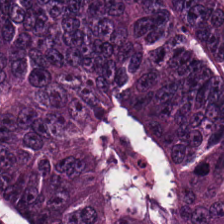{"tissue_type": "adenocarcinoma"}
